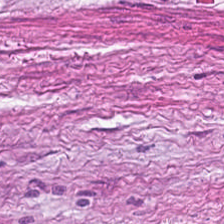Hematoxylin-and-eosin stained section — Predominantly tumor-associated stroma.
